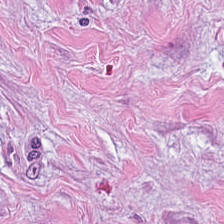H&E. Impression → tumor-associated stroma.
